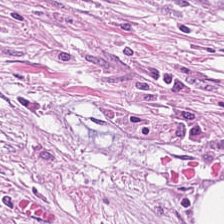FFPE · hematoxylin-and-eosin stained section.
Impression — cancer-associated stroma.
